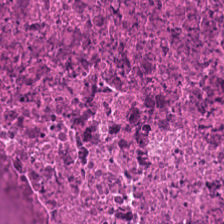H&E-stained tissue section.
Showing cellular debris.
